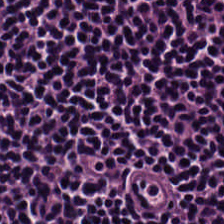{"tissue_type": "lymphocyte aggregate"}
